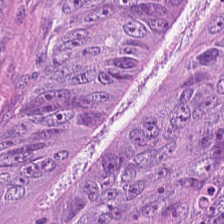H&E-stained tissue section. Predominant tissue: colorectal adenocarcinoma epithelium.
